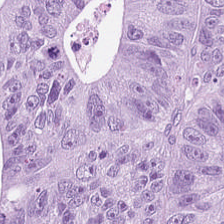0.5 µm/px. H&E stain — The predominant tissue is colorectal adenocarcinoma epithelium.
